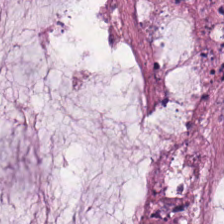Hematoxylin and eosin. Q: What is shown here?
A: The field shows mucin.
